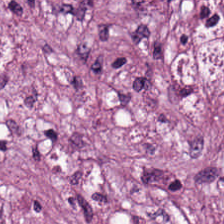The predominant tissue is desmoplastic stroma.
